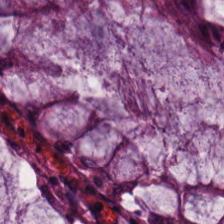H&E stain.
Q: What tissue is shown?
A: The field shows normal colonic mucosa.
